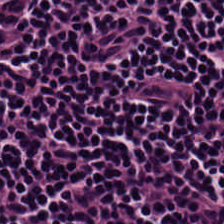H&E stain · formalin-fixed paraffin-embedded section · 224×224 pixel tile.
The predominant tissue is lymphocytic infiltrate.
